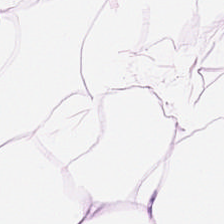H&E stain — Q: What is shown here?
A: This is adipocytes.
